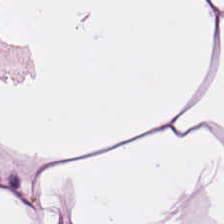H&E. Whole-slide-image patch. 20× equivalent magnification.
Predominant tissue — adipocytes.
